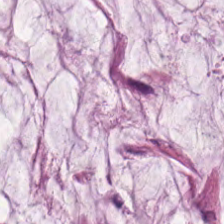H&E stain. Formalin-fixed paraffin-embedded section. Tissue class — mucus.
